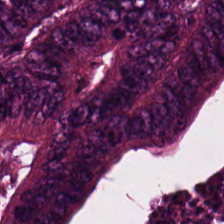The tissue here is colorectal adenocarcinoma.
